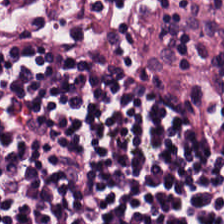Hematoxylin and eosin — The tissue here is lymphocytic infiltrate.
